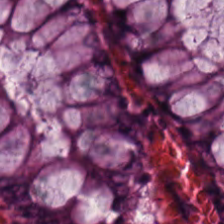Hematoxylin-and-eosin section: normal colonic mucosa.
